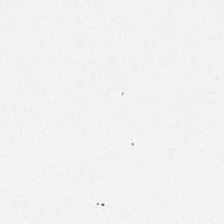H&E stain.
Q: Classify this patch.
A: The field shows background (no tissue).
